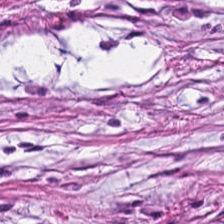H&E; whole-slide-image patch. Predominantly cancer-associated stroma.
